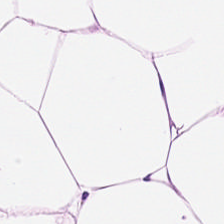Predominant tissue — fat tissue.
